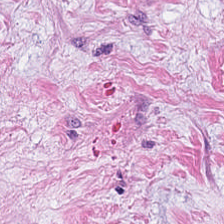H&E-stained tissue section — Q: What is the predominant tissue type?
A: It is tumor stroma.
